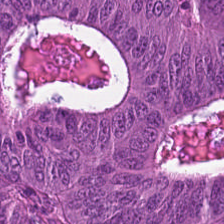Q: What is the predominant tissue type?
A: This is malignant epithelium.
